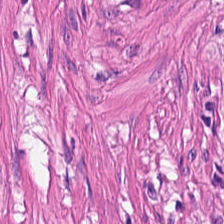Hematoxylin and eosin. Histology → smooth muscle.
